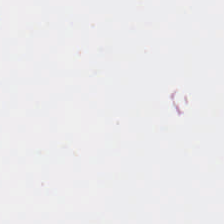Stain: H&E stain.
Classification: empty background.
